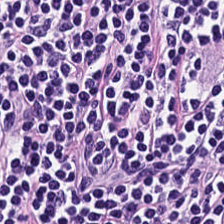H&E-stained tissue section — Lymphocytic infiltrate.
